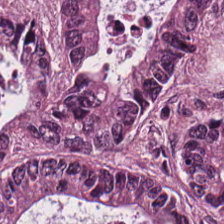The tissue is malignant epithelium.
